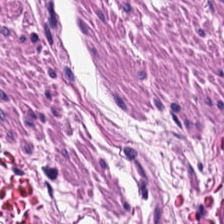H&E stain.
The predominant tissue is muscularis.
